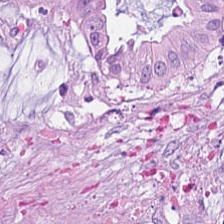0.5 µm/px; hematoxylin and eosin — Q: What tissue type is shown here?
A: The field shows extracellular mucin.
